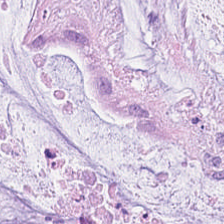Stain: H&E-stained tissue section.
Acquisition: whole-slide-image patch.
Preparation: FFPE tissue section.
Classification: mucin.
